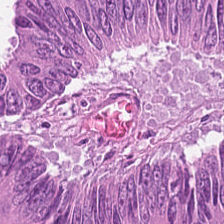H&E stain.
Showing malignant epithelium.
